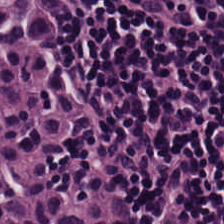H&E stain — Showing lymphocytes.
